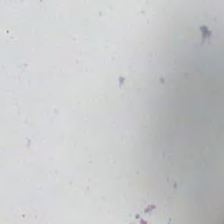Hematoxylin and eosin. Q: Classify this patch.
A: The field shows background (no tissue).
